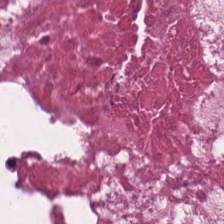Hematoxylin and eosin. Cellular debris.
